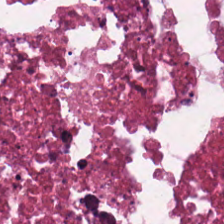H&E stain. Q: What tissue type is shown here?
A: Cellular debris.
